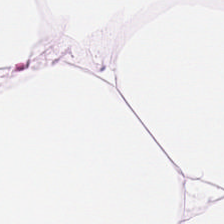Stain: H&E.
Resolution: 0.5 µm/px.
Tile size: 224×224 px tile.
Tissue: fat tissue.
